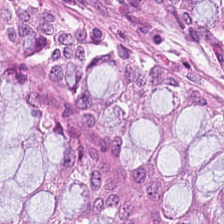Hematoxylin-and-eosin stained section — The predominant tissue is normal colonic mucosa.
